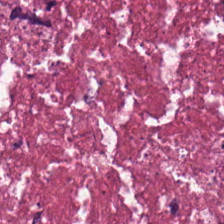Hematoxylin-and-eosin stained section · whole-slide-image patch.
The tissue here is debris.
